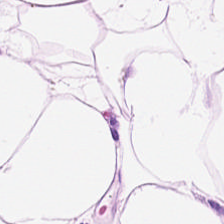Tissue: fat tissue.
